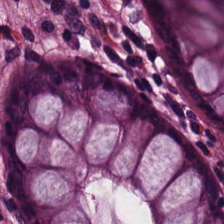H&E · WSI patch.
The tissue here is normal colonic mucosa.
